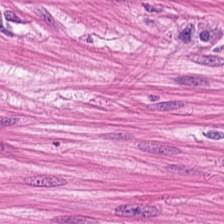Formalin-fixed paraffin-embedded section · WSI patch · hematoxylin-and-eosin stained section. Finding → smooth-muscle tissue.
